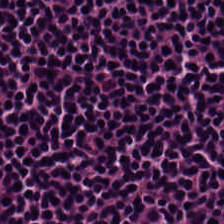Stain: H&E-stained tissue section.
Predominant tissue: lymphocytic infiltrate.
